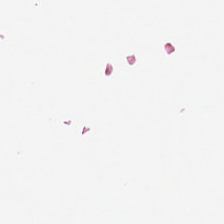H&E stain; FFPE — The classification is background (no tissue).
